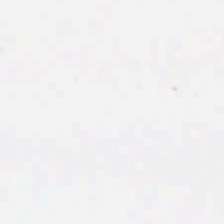Brightfield; H&E-stained tissue section — Field content — no tissue.
